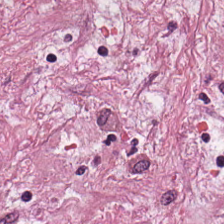Hematoxylin and eosin. Q: What does this patch show?
A: Tumor-associated stroma.
